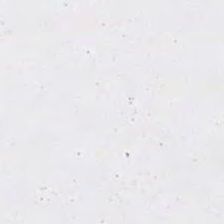Stain: H&E-stained tissue section.
Field content: background (no tissue).
